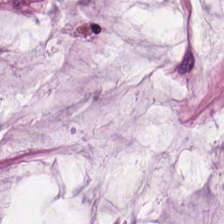H&E patch showing mucin.
